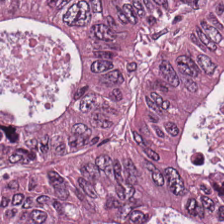Q: Classify this patch.
A: This is adenocarcinoma.
